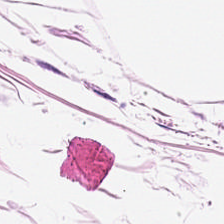Impression → fat tissue.
